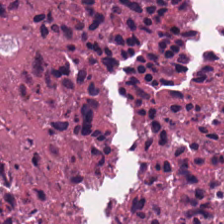Whole-slide-image patch · FFPE tissue section · H&E-stained tissue section. This patch shows necrotic debris.
